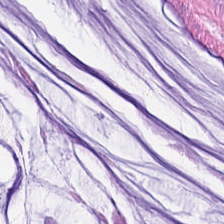This patch shows mucus.
